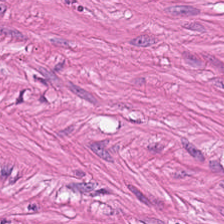Hematoxylin and eosin · 0.5 µm/px — {"tissue_type": "smooth muscle"}
